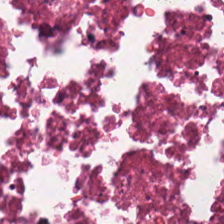FFPE; H&E; brightfield microscopy. The tissue here is necrotic debris.
